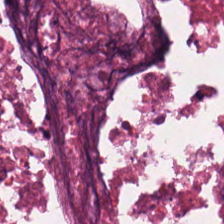This field is necrotic debris.
